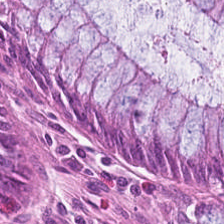Predominant tissue — normal colonic mucosa.
